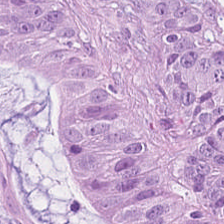H&E. Showing malignant epithelium.
